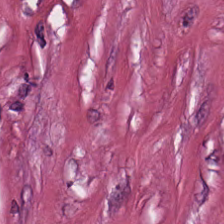Hematoxylin and eosin — {"tissue_type": "tumor stroma"}
